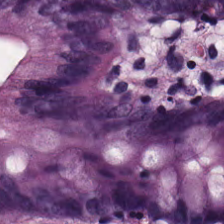H&E-stained tissue section. This patch shows benign colonic mucosa.
